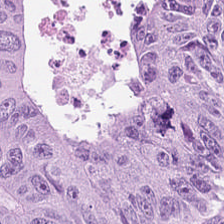H&E patch showing colorectal adenocarcinoma.
